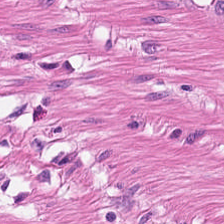224×224 px patch. 0.5 microns per pixel. Hematoxylin and eosin.
The classification is smooth muscle.
